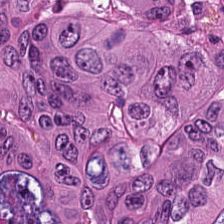Brightfield microscopy; hematoxylin-and-eosin stained section. {"tissue_type": "colorectal adenocarcinoma"}
